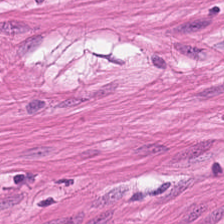20× equivalent magnification; H&E — The predominant tissue is smooth-muscle tissue.
